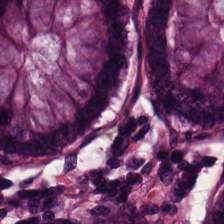Hematoxylin and eosin — Histology → normal colonic mucosa.
